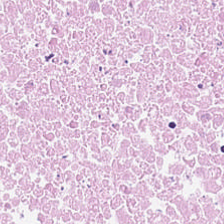Cellular debris.
